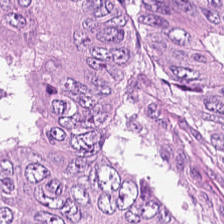0.5 microns per pixel. H&E — Showing adenocarcinoma.
